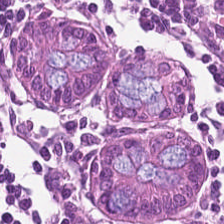Brightfield. 224×224 pixel tile. Hematoxylin and eosin. Q: Classify this patch.
A: It is normal colon mucosa.
